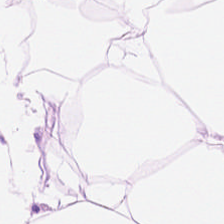Stain: hematoxylin-and-eosin stained section.
Preparation: formalin-fixed paraffin-embedded section.
Acquisition: brightfield microscopy.
Predominant tissue: adipose.
